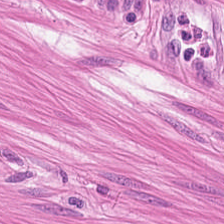The tissue is muscularis.
